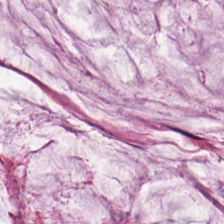H&E-stained tissue section. {"tissue_type": "extracellular mucin"}
